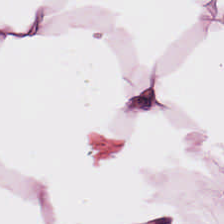The tissue type is adipose.
